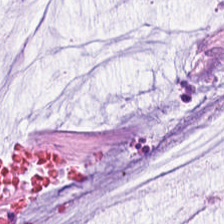Stain: hematoxylin-and-eosin stained section.
Predominant tissue: mucin.
